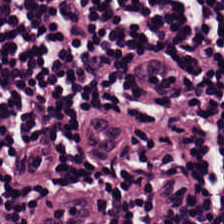Predominant tissue — lymphocyte aggregate.
